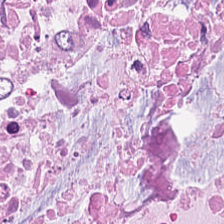Tissue type: necrotic debris.
